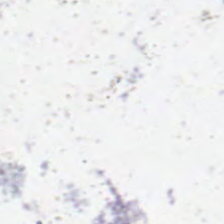Classification: background.
